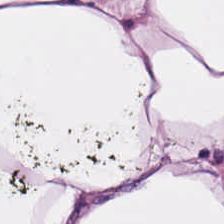H&E-stained tissue section. Tissue class = adipose tissue.
